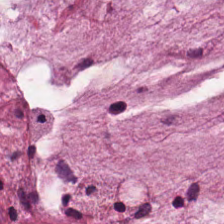224×224 px patch · H&E · FFPE tissue section — The tissue type is mucin.
